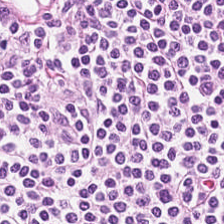Stain: H&E.
Predominant tissue: lymphocytes.
